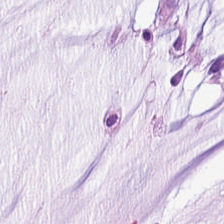H&E stain. Showing extracellular mucin.
